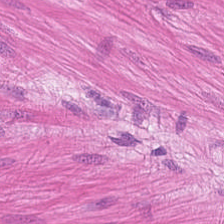Hematoxylin-and-eosin stained section. Predominant tissue — smooth-muscle tissue.
